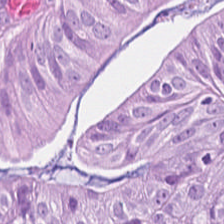Hematoxylin and eosin. Showing malignant epithelium.
